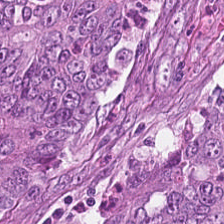Hematoxylin-and-eosin stained section — Showing adenocarcinoma.
